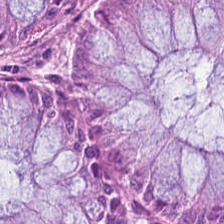224×224 px tile. FFPE. Hematoxylin-and-eosin stained section. Finding — non-neoplastic colon mucosa.
